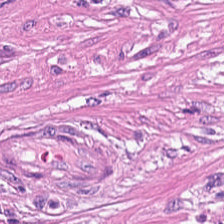Hematoxylin-and-eosin stained section — This patch shows smooth-muscle tissue.
